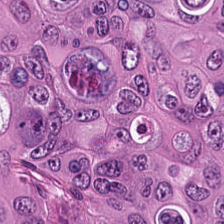Hematoxylin and eosin.
This patch shows colorectal adenocarcinoma epithelium.
